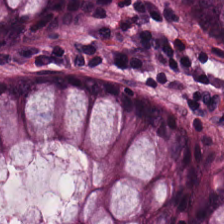H&E stain. The tissue here is non-neoplastic colon mucosa.
